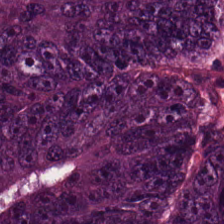H&E stain. Classification: tumor epithelium.
